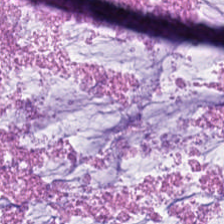Hematoxylin-and-eosin stained section — Q: What is shown here?
A: The field shows extracellular mucin.
